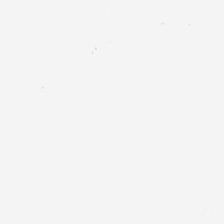Whole-slide-image patch. 0.5 µm per pixel. Hematoxylin and eosin.
Empty field — no tissue.
